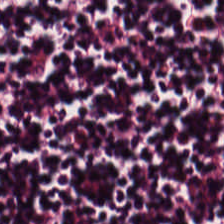Brightfield; H&E; FFPE.
Finding → lymphoid infiltrate.
